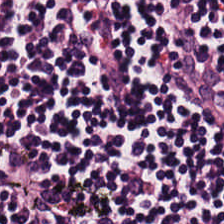Q: What tissue type is shown here?
A: Lymphocyte aggregate.
